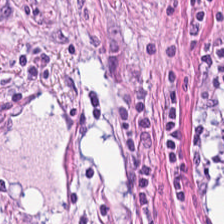H&E.
Tumor stroma.
